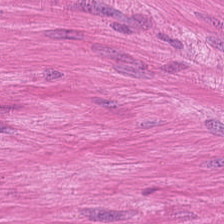H&E-stained tissue section · 0.5 microns per pixel. Finding → smooth muscle.
